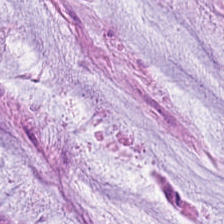Whole-slide-image patch · H&E stain · 0.5 µm per pixel. Impression — extracellular mucin.
